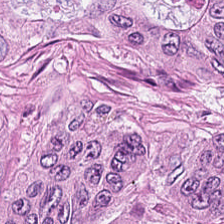Hematoxylin-and-eosin section: colorectal adenocarcinoma epithelium.
